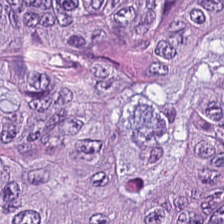H&E — Q: What tissue type is shown here?
A: The field shows malignant epithelium.
